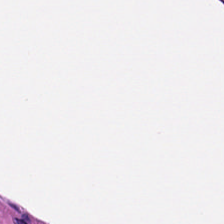Finding — muscularis.
